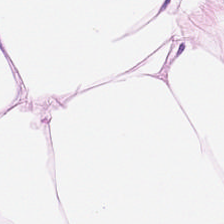H&E. Q: Classify this patch.
A: This is fat tissue.
